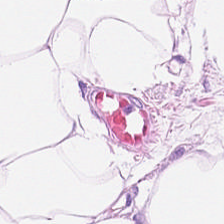Tissue type — adipose tissue.
